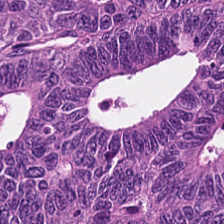Hematoxylin-and-eosin stained section — Showing colorectal adenocarcinoma.
